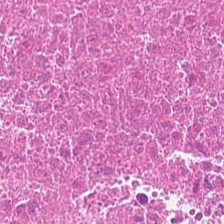H&E-stained tissue section showing debris.
